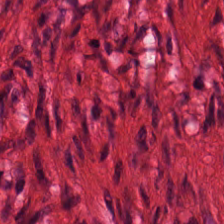H&E-stained tissue section. Tissue class = smooth-muscle tissue.
